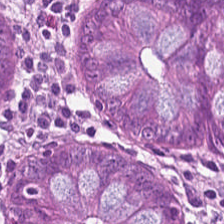Hematoxylin-and-eosin section: normal colonic mucosa.
